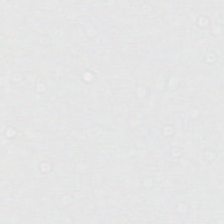Hematoxylin and eosin — The content is no tissue.
